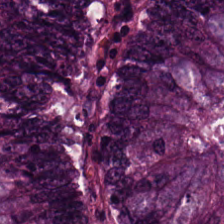Stain: hematoxylin and eosin.
Classification: adenocarcinoma.
